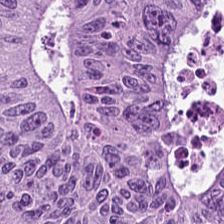Hematoxylin and eosin. Brightfield microscopy. Classification — adenocarcinoma.
